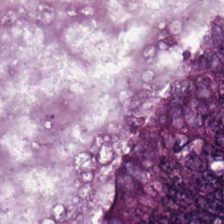Finding → colorectal adenocarcinoma epithelium.
